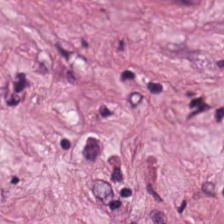20× equivalent magnification; H&E stain. This patch shows tumor stroma.
